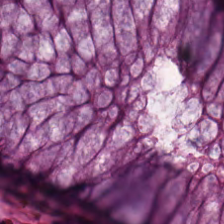Hematoxylin and eosin; FFPE. Showing benign colonic mucosa.
